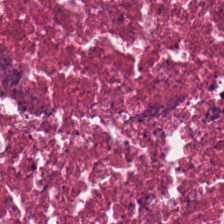Hematoxylin and eosin · WSI patch — The tissue here is debris.
